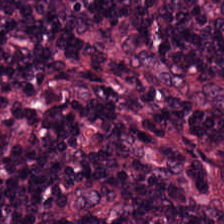Hematoxylin-and-eosin stained section.
Impression → lymphocytes.
